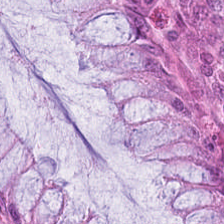Formalin-fixed paraffin-embedded section · hematoxylin-and-eosin stained section. Normal colonic mucosa.
